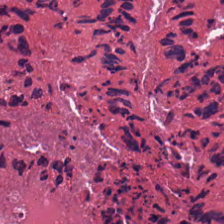Stain: hematoxylin and eosin.
Classification: debris.
